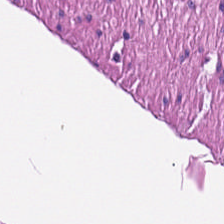H&E-stained tissue section — This field is smooth muscle.
